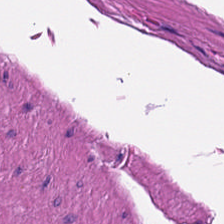Tissue type — smooth-muscle tissue.
